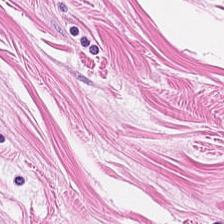Hematoxylin and eosin.
Showing muscularis.
